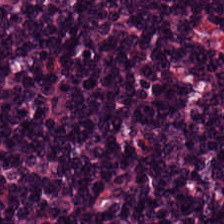Q: What is the predominant tissue type?
A: It is lymphocytic infiltrate.
